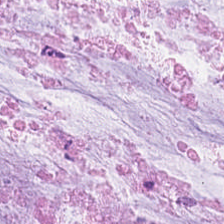H&E.
The tissue here is mucus.
